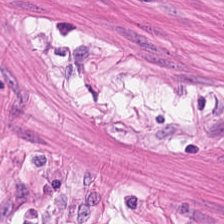Hematoxylin and eosin · FFPE.
Tissue type: muscularis.
